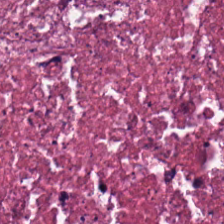Q: What does this patch show?
A: This is necrotic debris.
